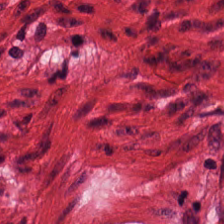0.5 microns per pixel; hematoxylin and eosin; formalin-fixed paraffin-embedded section.
Classification — smooth-muscle tissue.
